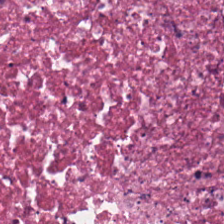Hematoxylin-and-eosin stained section — Showing necrotic debris.
